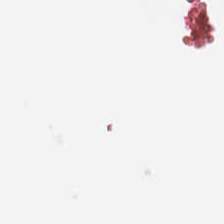FFPE · hematoxylin and eosin · 224×224 px tile.
Background (no tissue).
